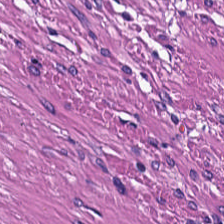H&E. FFPE tissue section. 20× equivalent magnification. The predominant tissue is smooth-muscle tissue.
